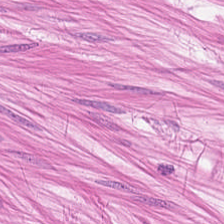H&E-stained tissue section. The tissue here is smooth muscle.
